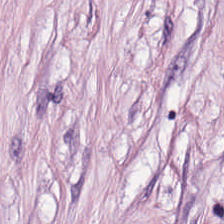{"tissue_type": "cancer-associated stroma"}
